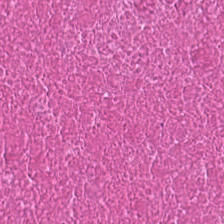Hematoxylin and eosin — The tissue here is cellular debris.
